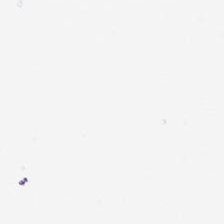Hematoxylin and eosin.
Content = background.
